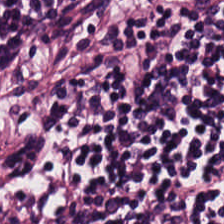H&E — {"tissue_type": "lymphocyte aggregate"}
